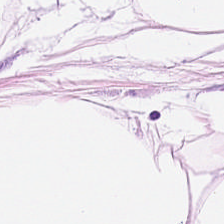Hematoxylin-and-eosin stained section. Brightfield. 224×224 px patch — Predominant tissue — adipose.
